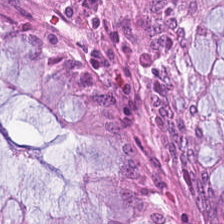Predominantly non-neoplastic colon mucosa.
